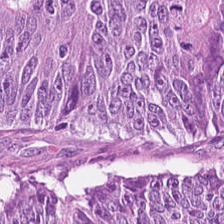H&E.
The tissue here is colorectal adenocarcinoma.
